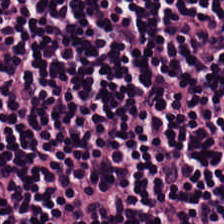H&E-stained tissue section showing lymphoid infiltrate.
